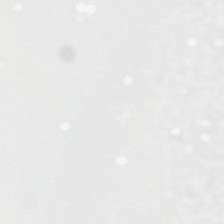Hematoxylin-and-eosin stained section. Impression → background.
